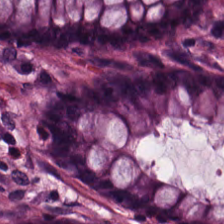Hematoxylin and eosin; 224×224 px tile — The classification is benign colonic mucosa.
